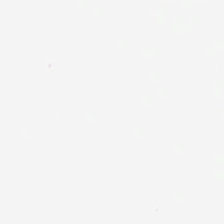H&E stain — Empty field — no tissue.
